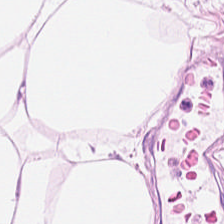H&E-stained tissue section; 224×224 pixel tile.
Q: What is the predominant tissue type?
A: The field shows adipocytes.
